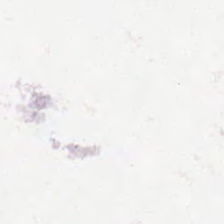Stain: H&E stain.
Field content: empty background.
